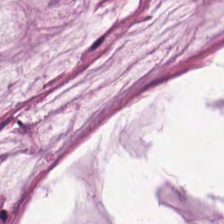Hematoxylin-and-eosin stained section.
This patch shows mucus.
